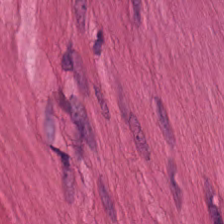H&E-stained tissue section. Tissue class = muscularis.
